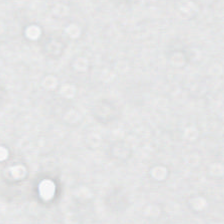H&E-stained tissue section — Q: Classify this patch.
A: It is empty background.
